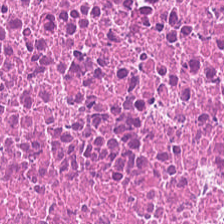H&E stain — Histology — necrotic debris.
